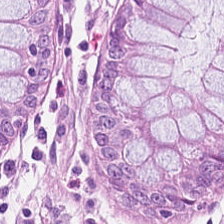0.5 microns per pixel · H&E.
Tissue type = non-neoplastic colon mucosa.
